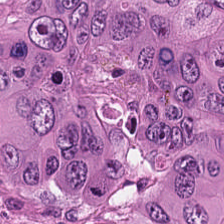Hematoxylin-and-eosin stained section.
Q: What tissue type is shown here?
A: Tumor epithelium.
